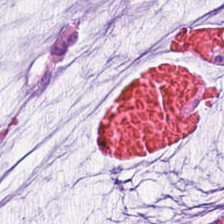Predominant tissue — mucin.
